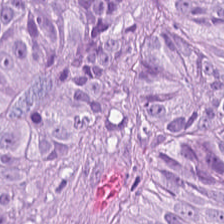Whole-slide-image patch; hematoxylin and eosin; FFPE — This field is adenocarcinoma.
